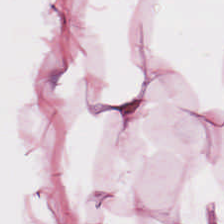Stain: H&E.
Resolution: 0.5 microns per pixel.
Tissue type: adipose tissue.
